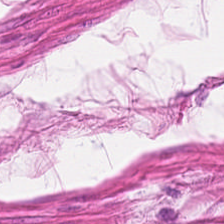Brightfield; hematoxylin-and-eosin stained section. The predominant tissue is smooth-muscle tissue.
